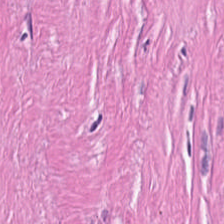H&E; WSI patch. Tissue class — cancer-associated stroma.
